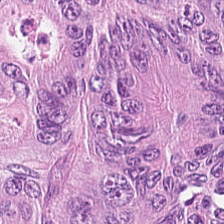0.5 µm/px; H&E — Finding — colorectal adenocarcinoma.
